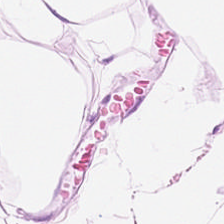H&E-stained tissue section · 20× equivalent magnification · WSI patch — Q: What tissue is shown?
A: The field shows fat tissue.
